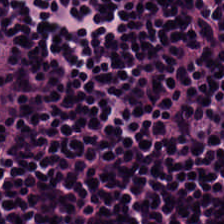Predominant tissue: lymphocyte aggregate.
